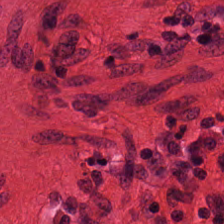Tissue: muscularis.
